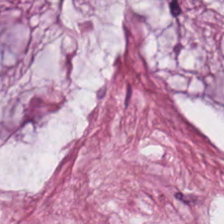Stain: hematoxylin and eosin.
Tile size: 224×224 px tile.
Tissue: mucus.
